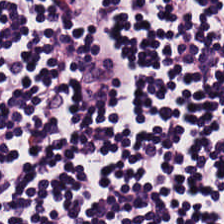Predominantly lymphocytic infiltrate.
